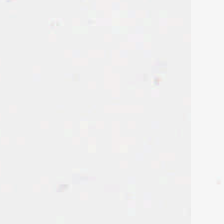224×224 px patch · hematoxylin-and-eosin stained section — Finding — background.
